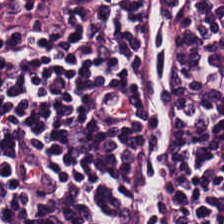Hematoxylin and eosin.
Tissue: lymphoid infiltrate.
